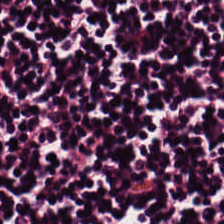Hematoxylin and eosin — The tissue is lymphoid infiltrate.
